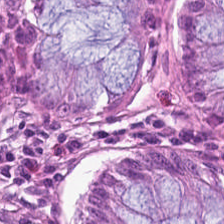H&E-stained tissue section.
Q: What tissue type is shown here?
A: It is non-neoplastic colon mucosa.
